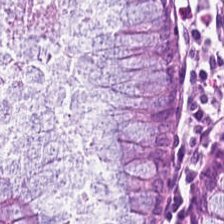H&E stain — Q: What is shown here?
A: The field shows benign colonic mucosa.
